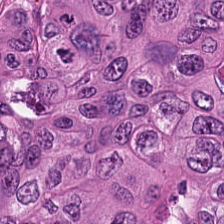H&E. Classification: colorectal adenocarcinoma epithelium.
